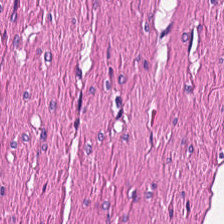H&E stain — Predominantly muscularis.
